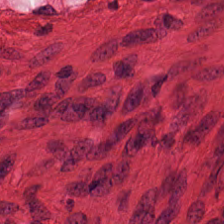Tissue class: smooth muscle.
